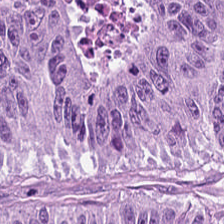Stain: hematoxylin and eosin.
Tissue: colorectal adenocarcinoma epithelium.
